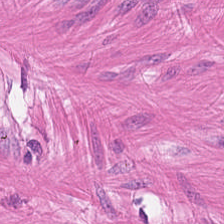0.5 microns per pixel. H&E — The predominant tissue is smooth muscle.
